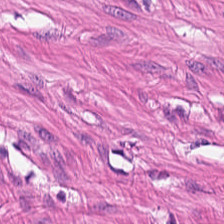Stain: H&E-stained tissue section.
Tissue: smooth-muscle tissue.
